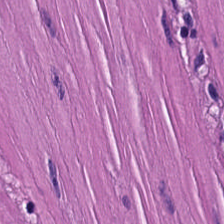Tissue class — smooth muscle.
